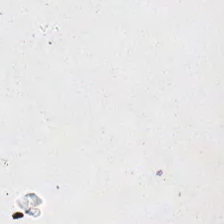Hematoxylin-and-eosin stained section. 0.5 microns per pixel — {"content": "empty background"}
